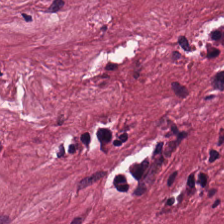Finding — tumor-associated stroma.
